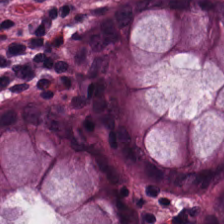This patch shows normal colon mucosa.
